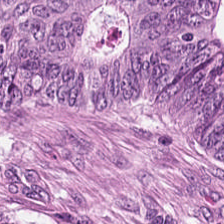H&E. The predominant tissue is colorectal adenocarcinoma epithelium.
